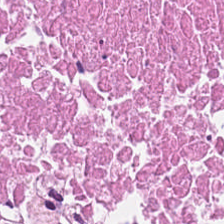Stain: hematoxylin and eosin.
Tile size: 224×224 px patch.
Tissue class: necrotic debris.
